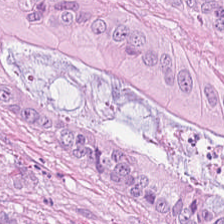H&E stain.
{"tissue_type": "colorectal adenocarcinoma"}
